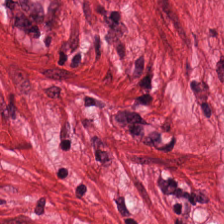Predominant tissue = muscularis.
